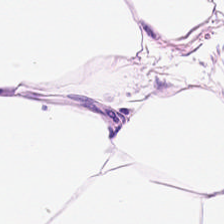0.5 microns per pixel; hematoxylin and eosin — Q: Identify the tissue.
A: The field shows adipocytes.
